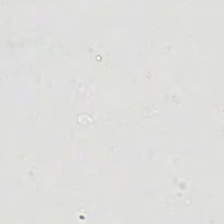Impression — empty background.
